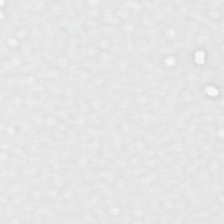Stain: H&E-stained tissue section.
Classification: background (no tissue).
